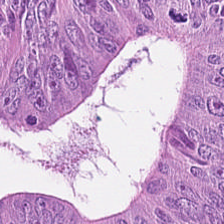Stain: hematoxylin-and-eosin stained section.
Classification: colorectal adenocarcinoma epithelium.
